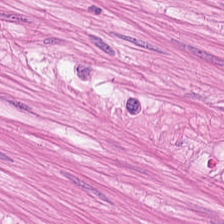The predominant tissue is muscularis.
